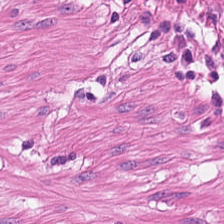Hematoxylin and eosin; 224×224 px patch.
Q: What is shown here?
A: The field shows muscularis.
